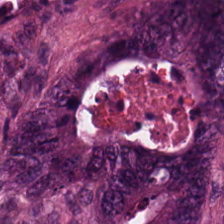Stain: hematoxylin-and-eosin stained section.
Tissue class: colorectal adenocarcinoma.
